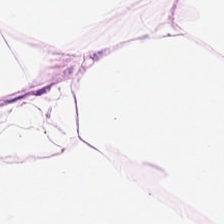Classification: fat tissue.
